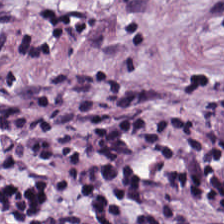H&E-stained tissue section. The tissue here is desmoplastic stroma.
